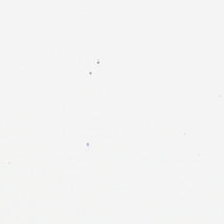0.5 microns per pixel · H&E stain — Finding — background (no tissue).
